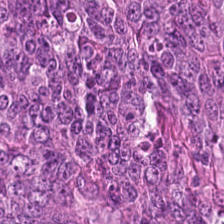Hematoxylin-and-eosin stained section; brightfield microscopy; 0.5 µm/px — The predominant tissue is colorectal adenocarcinoma epithelium.
